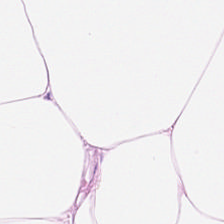H&E stain; 224×224 px tile.
Q: What is shown in this field?
A: The field shows fat tissue.
